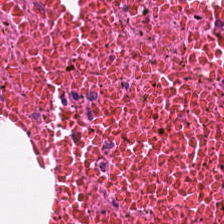Hematoxylin and eosin.
Tissue — necrotic debris.
